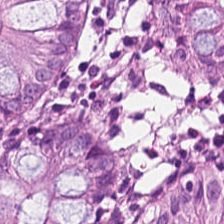H&E stain. The tissue here is normal colonic mucosa.
